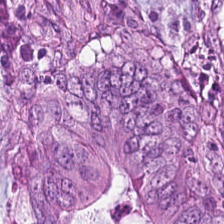H&E-stained tissue section.
{"tissue_type": "adenocarcinoma"}
